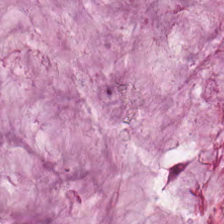Hematoxylin and eosin · whole-slide-image patch. Histology → mucin.
